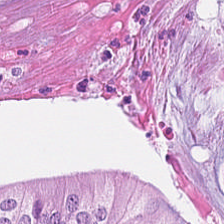H&E-stained tissue section. Showing colorectal adenocarcinoma.
